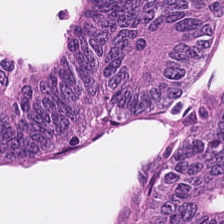Hematoxylin-and-eosin stained section — Predominantly malignant epithelium.
